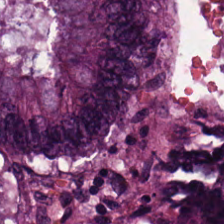Stain: hematoxylin and eosin.
Tissue class: adenocarcinoma.
